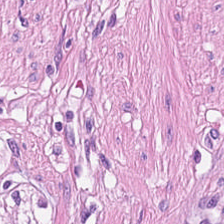Hematoxylin-and-eosin stained section. FFPE.
Histology — muscularis.
